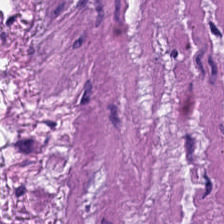H&E-stained tissue section — {"tissue_type": "smooth muscle"}
